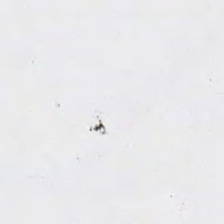Impression — background (no tissue).
